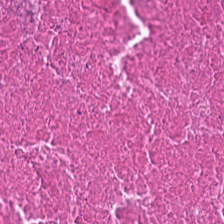H&E patch showing necrotic debris.
